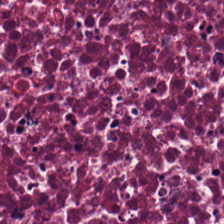Stain: H&E.
Tissue: necrotic debris.
